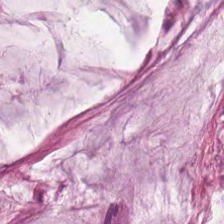H&E. Q: What type of tissue is this?
A: It is mucus.
